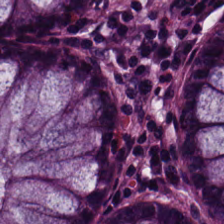Q: Identify the tissue.
A: It is non-neoplastic colon mucosa.
